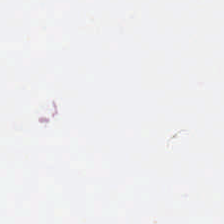H&E stain; FFPE.
Q: Classify this patch.
A: The field shows empty background.
